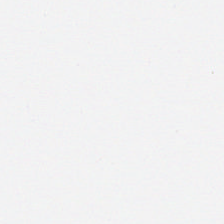Hematoxylin and eosin.
Background — no tissue in this field.
